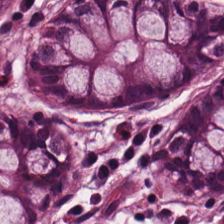Stain: H&E-stained tissue section.
Tissue class: benign colonic mucosa.
